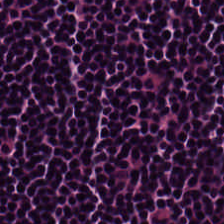Hematoxylin-and-eosin stained section; 224×224 pixel tile. Tissue: lymphocyte aggregate.
